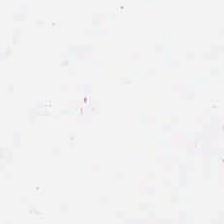Classification: no tissue.
